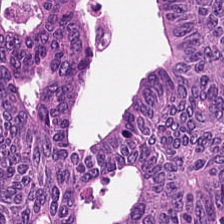Hematoxylin-and-eosin stained section. Finding → tumor epithelium.
